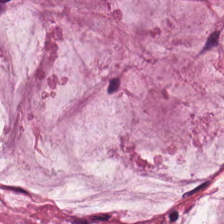Hematoxylin-and-eosin stained section · 224×224 px patch. Q: What tissue type is shown here?
A: Mucin.
